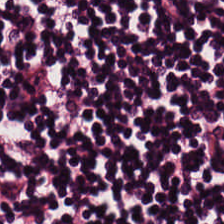H&E-stained tissue section — Q: What tissue is shown?
A: Lymphocytes.
